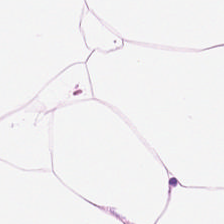Hematoxylin and eosin. Finding — adipose tissue.
